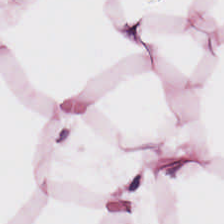H&E — adipocytes.
